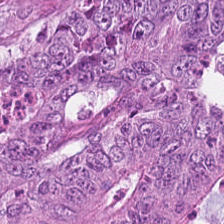224×224 px tile. Hematoxylin-and-eosin stained section — Q: What is the predominant tissue type?
A: It is tumor epithelium.
